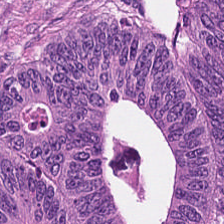H&E.
This patch shows adenocarcinoma.
